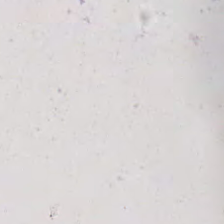Stain: hematoxylin and eosin.
Acquisition: brightfield.
Resolution: 0.5 µm per pixel.
Content: no tissue.
